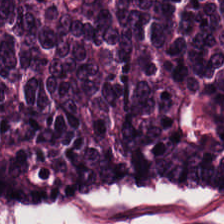Hematoxylin and eosin. Whole-slide-image patch.
Impression → adenocarcinoma.
